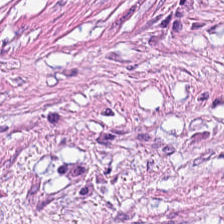Finding → cancer-associated stroma.
